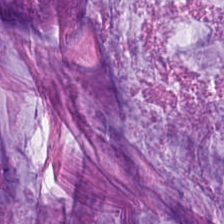H&E. Formalin-fixed paraffin-embedded section. This patch shows mucin.
